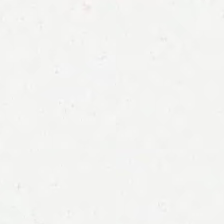Background — no tissue in this field.
